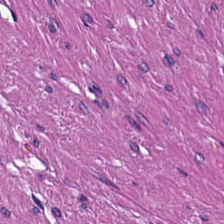Stain: hematoxylin-and-eosin stained section.
Tissue type: smooth-muscle tissue.
